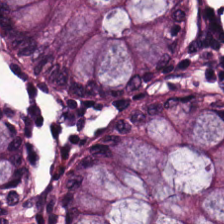Hematoxylin-and-eosin stained section — This field is normal colonic mucosa.
